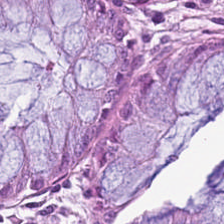H&E patch showing normal colon mucosa.
